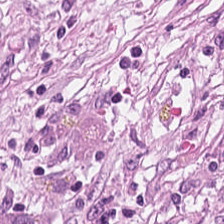Formalin-fixed paraffin-embedded section · H&E · 224×224 px tile — The predominant tissue is tumor stroma.
